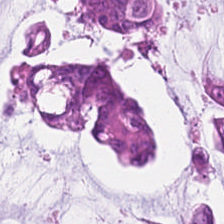H&E-stained tissue section — {"tissue_type": "extracellular mucin"}
